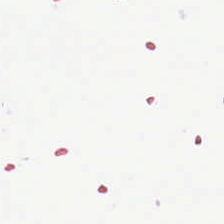Field content — no tissue.
